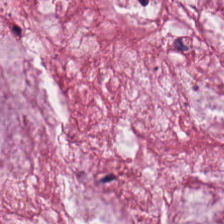Formalin-fixed paraffin-embedded section. H&E stain. Q: What type of tissue is this?
A: Mucin.
